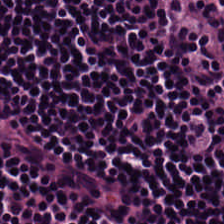0.5 µm per pixel; H&E stain. Histology — lymphoid infiltrate.
